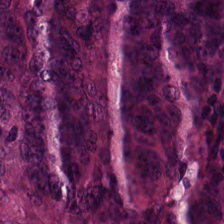This field is tumor epithelium.
